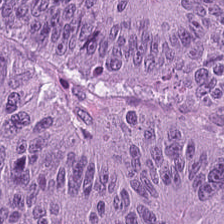0.5 µm per pixel · hematoxylin and eosin · FFPE tissue section — Impression → colorectal adenocarcinoma.
